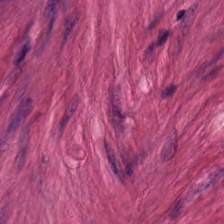Predominantly smooth muscle.
